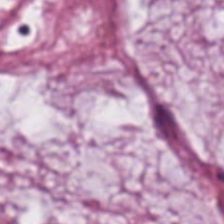Hematoxylin and eosin.
{"tissue_type": "mucus"}
